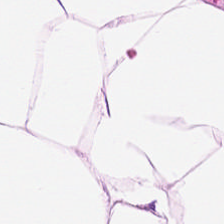H&E — The tissue here is adipose.
